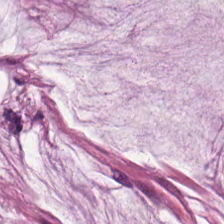Hematoxylin-and-eosin stained section.
{"tissue_type": "mucus"}
